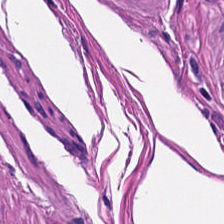H&E.
Showing muscularis.
